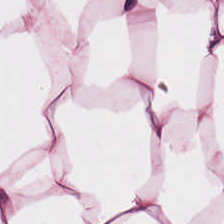Hematoxylin-and-eosin stained section — This field is adipose.
